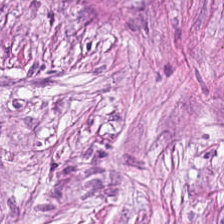H&E-stained tissue section — This patch shows cancer-associated stroma.
